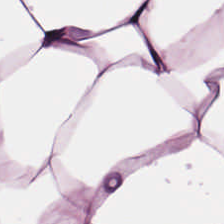FFPE tissue section · hematoxylin and eosin — This patch shows adipose tissue.
